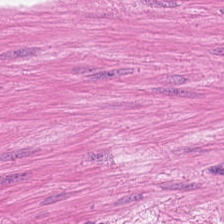Showing smooth-muscle tissue.
